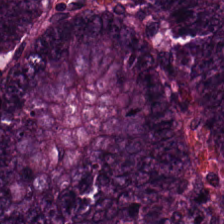224×224 pixel tile; hematoxylin-and-eosin stained section — Q: What does this patch show?
A: Colorectal adenocarcinoma.
